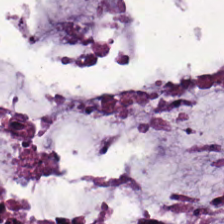FFPE tissue section; H&E — Predominantly mucin.
